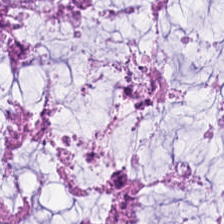Q: What tissue is shown?
A: Mucin.
